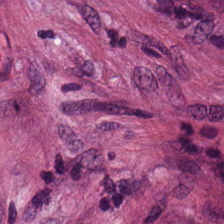The classification is desmoplastic stroma.
